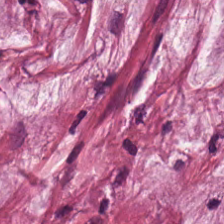224×224 px patch; hematoxylin and eosin. This patch shows mucin.
